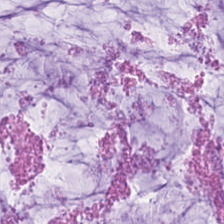224×224 px patch; H&E stain; formalin-fixed paraffin-embedded section. Tissue: extracellular mucin.
